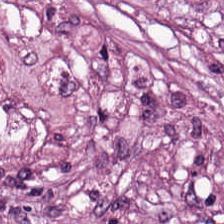Tissue class = tumor stroma.
